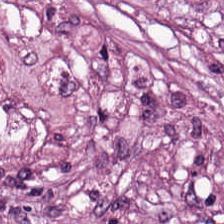Tissue class = tumor stroma.
